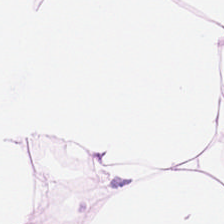H&E stain. 0.5 µm per pixel — Predominantly adipose.
